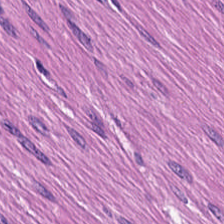Hematoxylin and eosin — Tissue class: smooth-muscle tissue.
